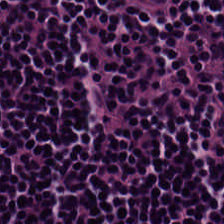Stain: H&E-stained tissue section.
Tissue class: lymphocyte aggregate.
